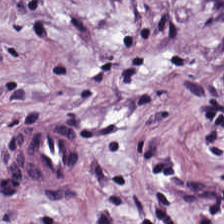Histology — tumor stroma.
